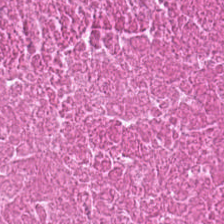Hematoxylin and eosin — Showing necrotic debris.
